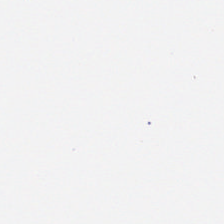H&E-stained tissue section · brightfield.
Impression — background (no tissue).
